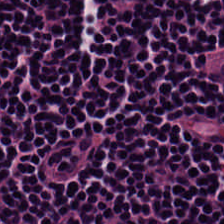20× equivalent magnification. Hematoxylin-and-eosin stained section — Showing lymphoid infiltrate.
